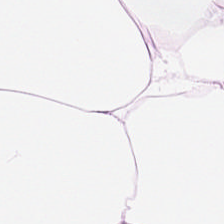H&E stain — This field is fat tissue.
